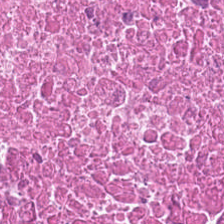H&E stain · 20× equivalent magnification · FFPE tissue section — Histology → debris.
